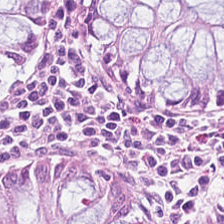Stain: hematoxylin-and-eosin stained section.
Resolution: 0.5 microns per pixel.
Tissue class: non-neoplastic colon mucosa.
